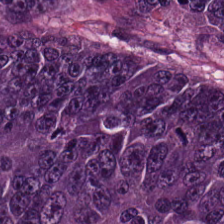Stain: H&E.
Tile size: 224×224 px tile.
Tissue type: colorectal adenocarcinoma epithelium.
